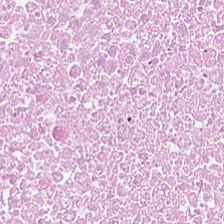{"tissue_type": "cellular debris"}
